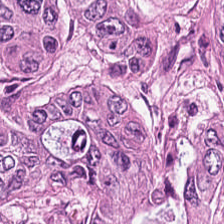Hematoxylin and eosin. 224×224 px patch. Whole-slide-image patch.
{"tissue_type": "adenocarcinoma"}
